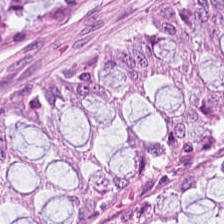Q: Identify the tissue.
A: Non-neoplastic colon mucosa.
